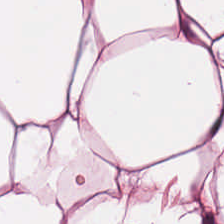Classification — adipose.
